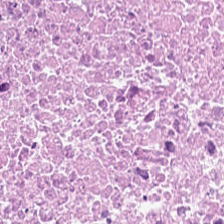H&E stain · whole-slide-image patch · 0.5 µm/px. {"tissue_type": "cellular debris"}
